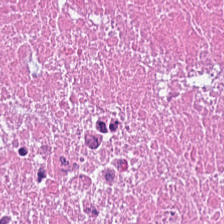Q: What type of tissue is this?
A: This is cellular debris.
